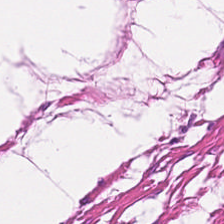Smooth muscle.
